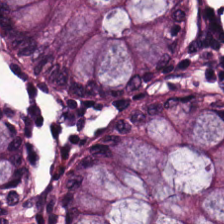Tissue: normal colon mucosa.
